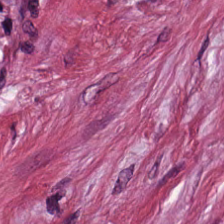FFPE tissue section; hematoxylin-and-eosin stained section — Tissue type — cancer-associated stroma.
